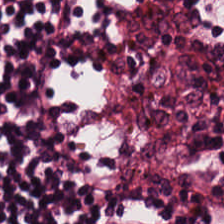H&E stain. FFPE. Classification: lymphocyte aggregate.
